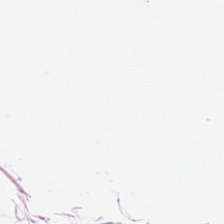FFPE · H&E stain · whole-slide-image patch — Predominant tissue = adipocytes.
